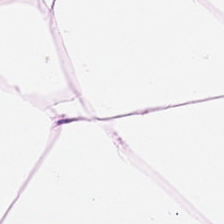Tissue type = adipose.
